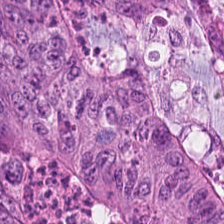Hematoxylin-and-eosin stained section. Formalin-fixed paraffin-embedded section — The predominant tissue is malignant epithelium.
